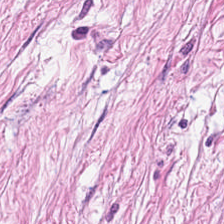Hematoxylin and eosin.
Tissue = cancer-associated stroma.
